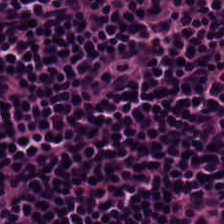Brightfield · H&E-stained tissue section. Predominantly lymphoid infiltrate.
